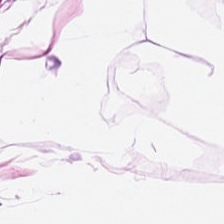H&E.
Finding → adipose tissue.
